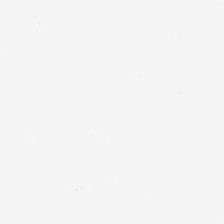Brightfield. H&E. Background — no tissue in this field.
